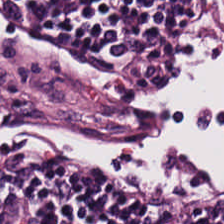Q: What is shown here?
A: Lymphocyte aggregate.
